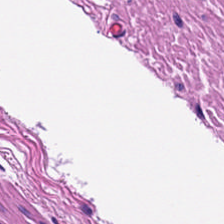Showing smooth-muscle tissue.
